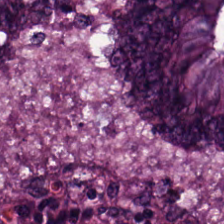WSI patch. H&E-stained tissue section. 0.5 µm/px. {"tissue_type": "tumor epithelium"}
